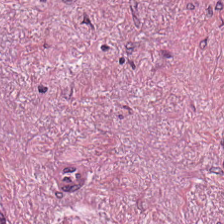H&E — Histology → cancer-associated stroma.
